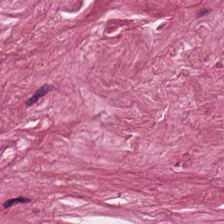H&E.
Classification — desmoplastic stroma.
